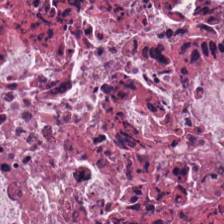H&E. Predominantly debris.
